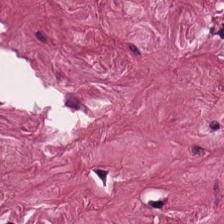224×224 pixel tile; brightfield; H&E.
{"tissue_type": "desmoplastic stroma"}
